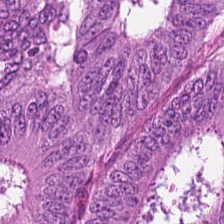H&E — {"tissue_type": "malignant epithelium"}
